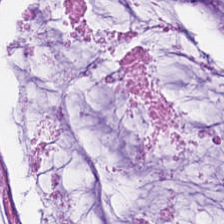H&E-stained tissue section.
The predominant tissue is mucin.
